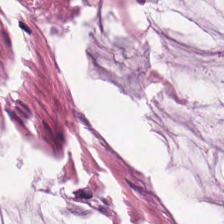Stain: H&E-stained tissue section.
Tissue type: mucin.
